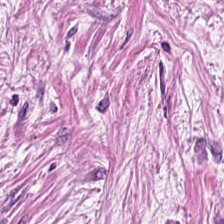WSI patch · H&E stain.
Predominantly cancer-associated stroma.
